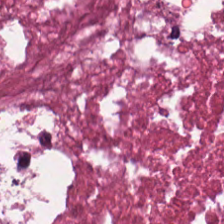Impression → debris.
